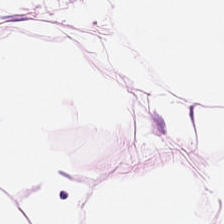0.5 microns per pixel; H&E-stained tissue section — Finding — fat tissue.
